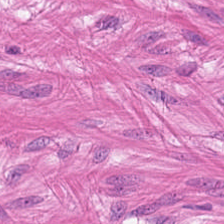Predominantly smooth muscle.
